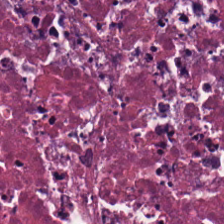This patch shows cellular debris.
